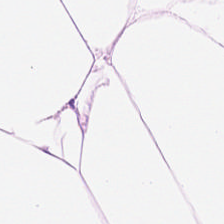Formalin-fixed paraffin-embedded section. 224×224 px tile. H&E-stained tissue section. Histology → adipose tissue.
